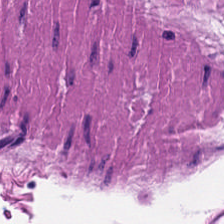FFPE tissue section; hematoxylin and eosin. Predominant tissue — smooth-muscle tissue.
